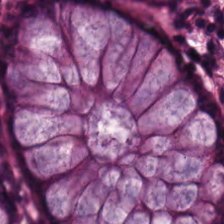Normal colon mucosa.
